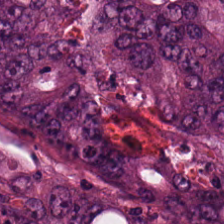Brightfield · formalin-fixed paraffin-embedded section · hematoxylin-and-eosin stained section — Q: Classify this patch.
A: This is tumor epithelium.
